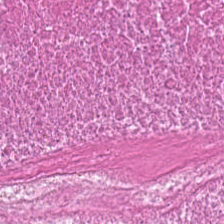H&E. Q: What is shown in this field?
A: The field shows debris.
